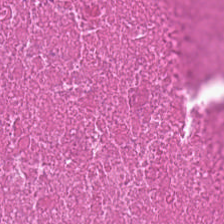Stain: H&E.
Predominant tissue: debris.
